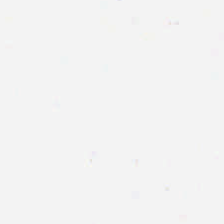Content: background (no tissue).
